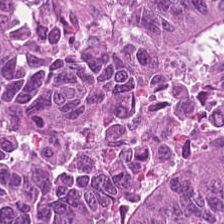Hematoxylin-and-eosin stained section — {"tissue_type": "malignant epithelium"}
